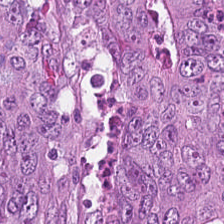Hematoxylin-and-eosin stained section — Histology → malignant epithelium.
